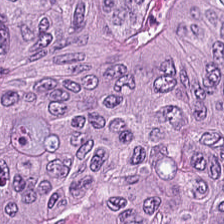H&E — Q: What is shown in this field?
A: This is malignant epithelium.
